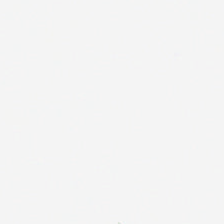H&E stain — Histology — background (no tissue).
